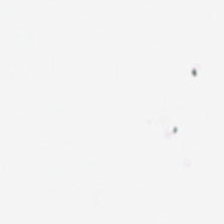Brightfield microscopy; H&E.
Classification = background (no tissue).
